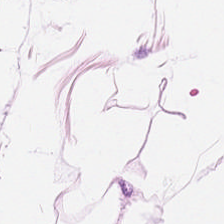H&E.
Tissue class — adipose tissue.
